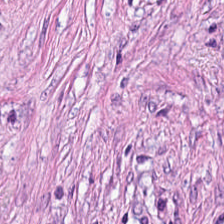Histology → cancer-associated stroma.
